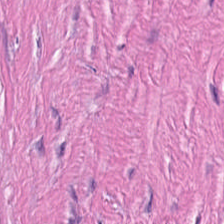Hematoxylin and eosin. {"tissue_type": "desmoplastic stroma"}
